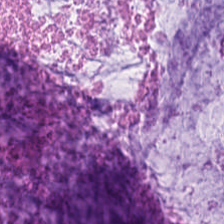H&E-stained tissue section — {"tissue_type": "mucin"}
